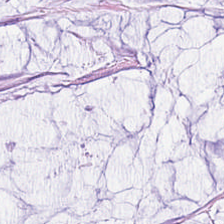H&E-stained tissue section showing mucin.
